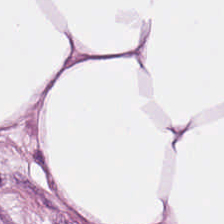H&E — The predominant tissue is adipocytes.
